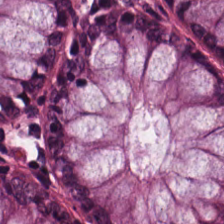224×224 px patch. H&E stain. Brightfield. The predominant tissue is normal colonic mucosa.
